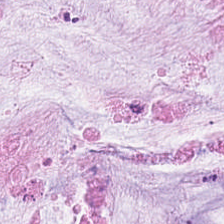Stain: H&E-stained tissue section.
Tissue: mucus.
